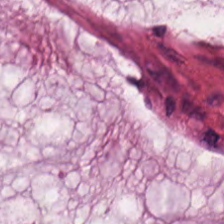H&E — mucin.
